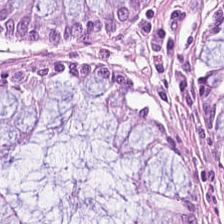H&E stain — The predominant tissue is normal colon mucosa.
